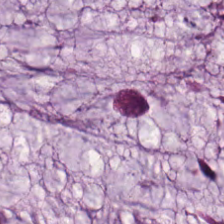H&E stain — Q: What is shown in this field?
A: Mucus.
